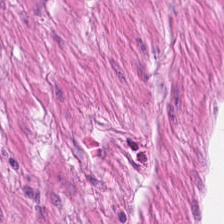Q: Classify this patch.
A: It is muscularis.
